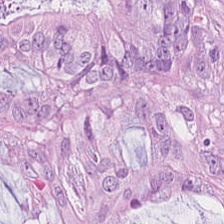Q: What is shown in this field?
A: The field shows colorectal adenocarcinoma.
